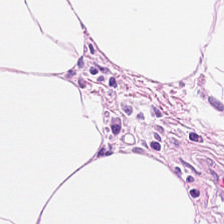Hematoxylin and eosin. 224×224 pixel tile. Tissue type = adipose tissue.
